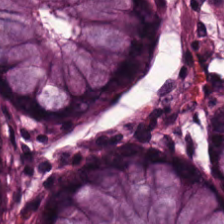Hematoxylin-and-eosin stained section. Predominantly benign colonic mucosa.
